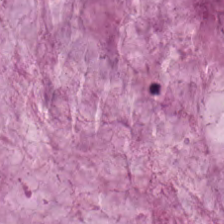H&E — Impression → extracellular mucin.
